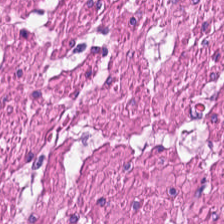FFPE · H&E stain. Classification — muscularis.
